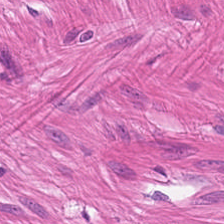H&E-stained tissue section. 224×224 px tile.
The predominant tissue is smooth muscle.
